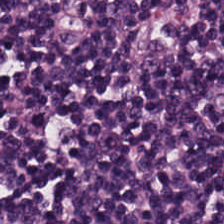Hematoxylin-and-eosin stained section. Q: What is the predominant tissue type?
A: It is lymphoid infiltrate.
